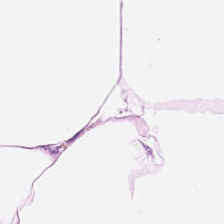Predominant tissue — fat tissue.
